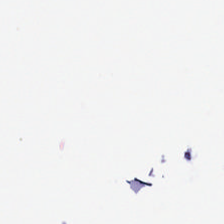Stain: hematoxylin and eosin.
Content: empty background.
